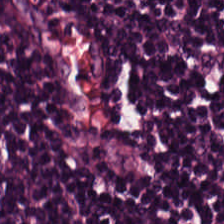WSI patch; H&E; 20× equivalent magnification. Tissue class: lymphocytes.
